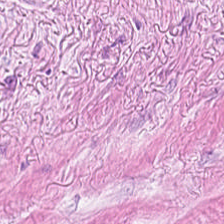H&E stain · brightfield. Q: What tissue type is shown here?
A: The field shows tumor-associated stroma.
